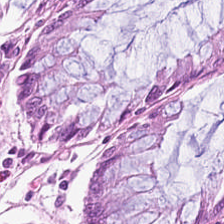Showing normal colonic mucosa.
